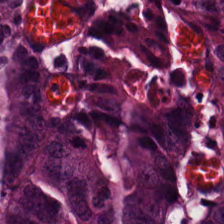H&E — Predominant tissue = adenocarcinoma.
